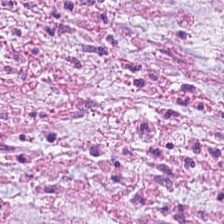H&E-stained tissue section · brightfield.
Q: What is shown here?
A: Desmoplastic stroma.
